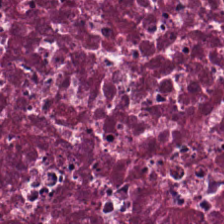H&E-stained tissue section; whole-slide-image patch.
Q: Classify this patch.
A: The field shows cellular debris.
